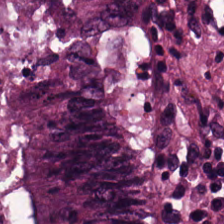Hematoxylin and eosin — Impression — adenocarcinoma.
